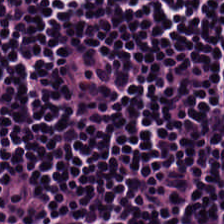FFPE. 0.5 µm/px. H&E — This patch shows lymphoid infiltrate.
